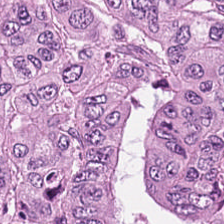0.5 µm/px; H&E stain; 224×224 px patch — Colorectal adenocarcinoma epithelium.
